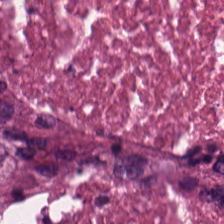H&E-stained tissue section. Classification — debris.
